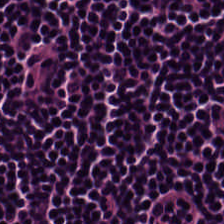FFPE; H&E stain; brightfield. Classification: lymphocytes.
